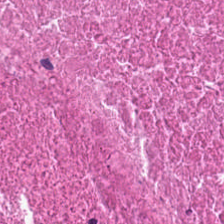Hematoxylin and eosin.
Tissue = cellular debris.
